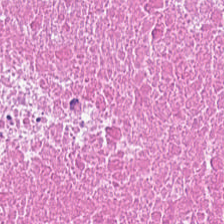Classification: cellular debris.
